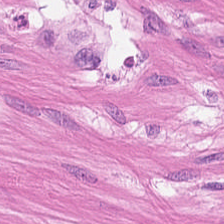Predominantly smooth-muscle tissue.
